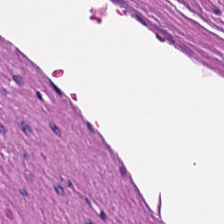Stain: H&E stain.
Tissue type: smooth muscle.
